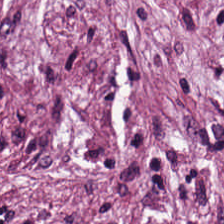Hematoxylin-and-eosin section: desmoplastic stroma.
